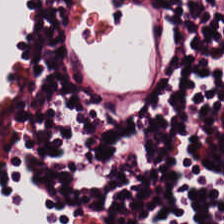Q: What type of tissue is this?
A: It is lymphoid infiltrate.
